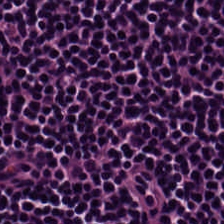Tissue — lymphoid infiltrate.
